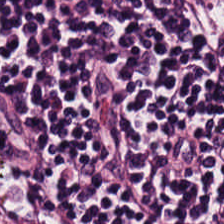Predominant tissue — lymphocytes.
